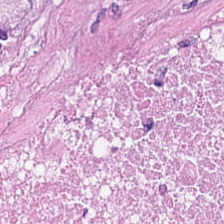H&E-stained tissue section — Q: What is shown in this field?
A: The field shows debris.
